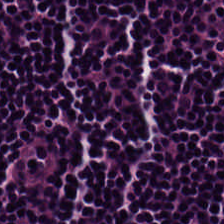Hematoxylin-and-eosin stained section — Finding — lymphocytic infiltrate.
